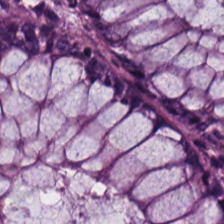Tissue class: non-neoplastic colon mucosa.
